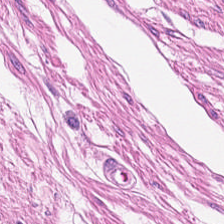Hematoxylin-and-eosin stained section. {"tissue_type": "smooth-muscle tissue"}
